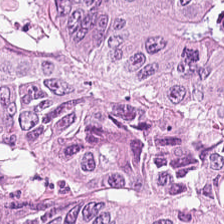Q: What tissue type is shown here?
A: It is malignant epithelium.
